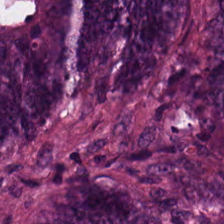224×224 px patch; hematoxylin-and-eosin stained section — Predominantly colorectal adenocarcinoma.
